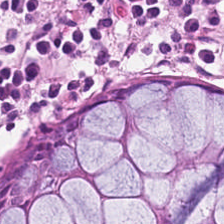224×224 pixel tile; H&E; FFPE tissue section.
Predominant tissue: normal colon mucosa.
